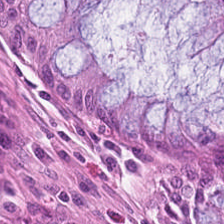H&E-stained tissue section.
Q: Identify the tissue.
A: It is normal colon mucosa.
